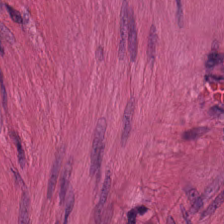Stain: H&E.
Classification: smooth muscle.
